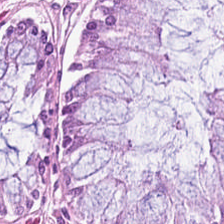Hematoxylin-and-eosin stained section — Q: What tissue type is shown here?
A: It is benign colonic mucosa.
